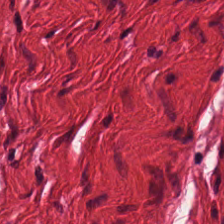FFPE · H&E stain · 224×224 px tile.
This patch shows smooth-muscle tissue.
